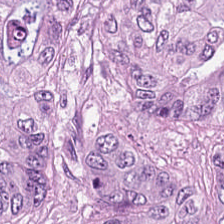Hematoxylin-and-eosin stained section.
Impression → colorectal adenocarcinoma epithelium.
